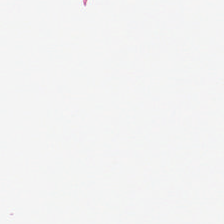224×224 px tile; H&E-stained tissue section. This patch shows background (no tissue).
